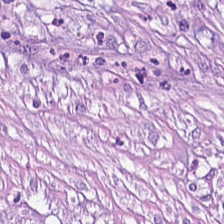Stain: hematoxylin-and-eosin stained section.
Tissue class: desmoplastic stroma.
